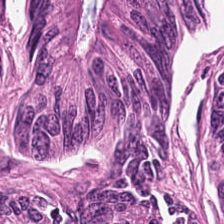Hematoxylin-and-eosin stained section; 20× equivalent magnification. Predominantly tumor epithelium.
